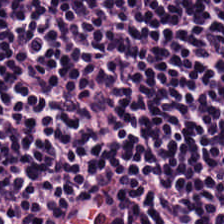Stain: hematoxylin and eosin.
Tissue class: lymphocyte aggregate.
